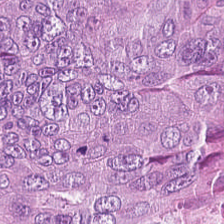Showing colorectal adenocarcinoma.
